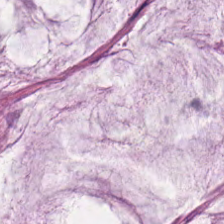H&E. Tissue type = mucus.
